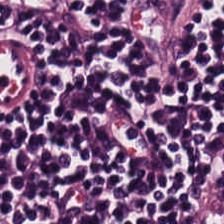H&E stain — Q: What is the predominant tissue type?
A: Lymphocytic infiltrate.
